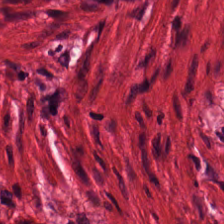Hematoxylin and eosin. Q: What type of tissue is this?
A: The field shows smooth muscle.
